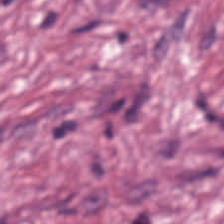H&E stain · 20× equivalent magnification.
Q: What does this patch show?
A: Tumor-associated stroma.
